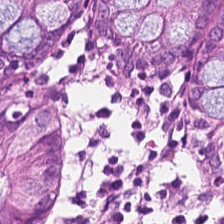224×224 pixel tile. Formalin-fixed paraffin-embedded section. H&E-stained tissue section. The tissue is non-neoplastic colon mucosa.
